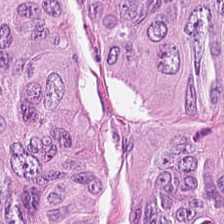224×224 px patch · hematoxylin and eosin · brightfield.
Tissue — malignant epithelium.
